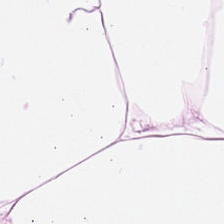Hematoxylin-and-eosin stained section.
The predominant tissue is fat tissue.
